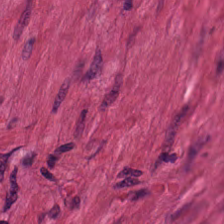H&E. The tissue type is muscularis.
